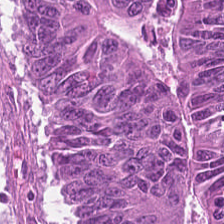Q: Classify this patch.
A: Colorectal adenocarcinoma epithelium.
